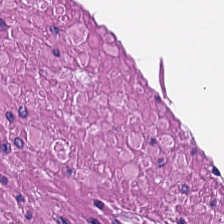H&E — The predominant tissue is smooth muscle.
